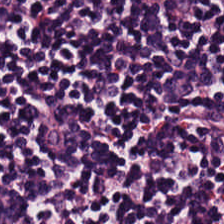{"tissue_type": "lymphocyte aggregate"}
